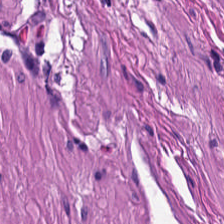H&E-stained tissue section.
Tissue class — muscularis.
